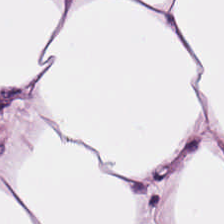Stain: H&E stain.
Tissue class: adipose tissue.
